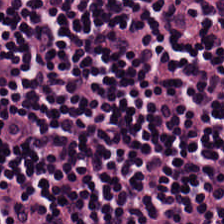Hematoxylin and eosin. The predominant tissue is lymphoid infiltrate.
